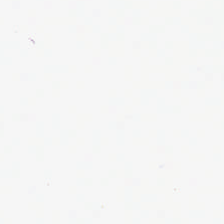Formalin-fixed paraffin-embedded section; H&E stain. This patch shows background.
